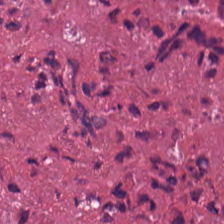Hematoxylin-and-eosin section: debris.
